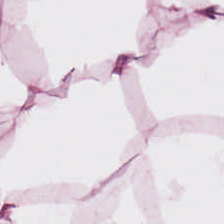224×224 px patch · H&E-stained tissue section. Tissue = adipose.
